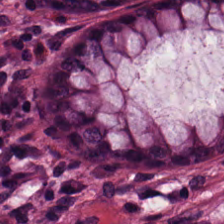Predominant tissue = normal colonic mucosa.
